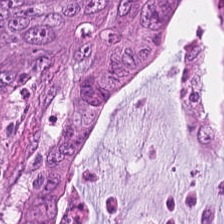H&E-stained tissue section.
Impression → malignant epithelium.
